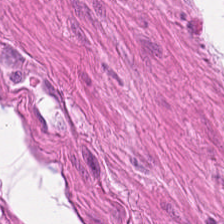Hematoxylin and eosin; brightfield. This patch shows muscularis.
